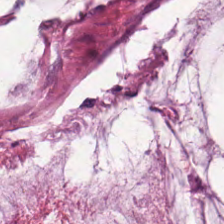H&E stain. Predominantly mucin.
